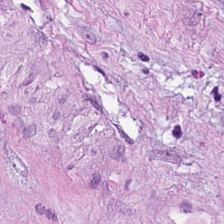Q: Classify this patch.
A: This is tumor stroma.
